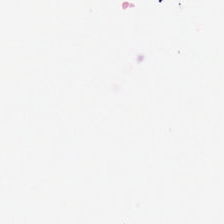H&E · 224×224 px tile · 0.5 µm per pixel — Histology → no tissue.
